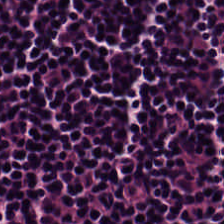Hematoxylin-and-eosin stained section; 0.5 µm per pixel; 224×224 px patch.
Q: What tissue is shown?
A: This is lymphoid infiltrate.
